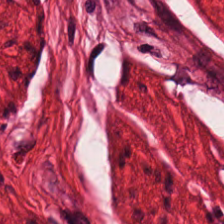H&E stain — The classification is muscularis.
